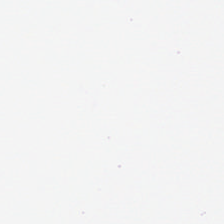Brightfield microscopy · FFPE · hematoxylin and eosin.
Q: What is shown in this field?
A: It is background.
